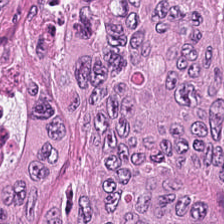Hematoxylin and eosin · 0.5 microns per pixel. Showing tumor epithelium.
